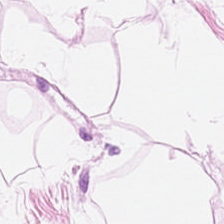H&E-stained tissue section.
Adipose tissue.
